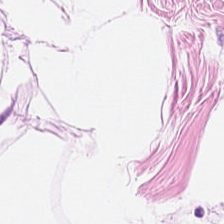Stain: hematoxylin-and-eosin stained section.
Resolution: 0.5 microns per pixel.
Predominant tissue: adipose.
